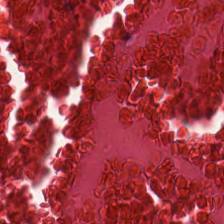WSI patch · 20× equivalent magnification · H&E stain — Debris.
